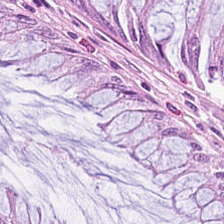224×224 px patch. Hematoxylin and eosin. This patch shows benign colonic mucosa.
